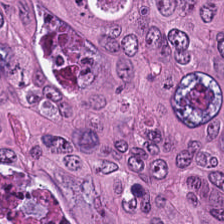Predominant tissue: malignant epithelium.
